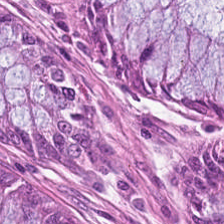Hematoxylin-and-eosin stained section — Tissue class — benign colonic mucosa.
